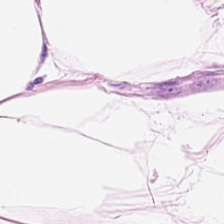H&E — adipose tissue.
